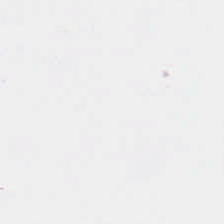Stain: H&E.
Preparation: FFPE.
Tile size: 224×224 pixel tile.
Content: background (no tissue).
